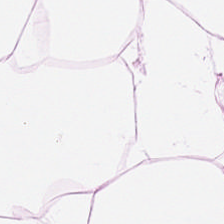H&E.
This patch shows adipose tissue.
